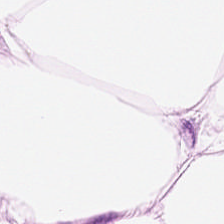0.5 microns per pixel · brightfield microscopy · H&E stain.
Q: What is shown in this field?
A: This is adipose tissue.
